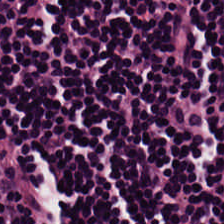Brightfield. H&E.
This patch shows lymphocyte aggregate.
